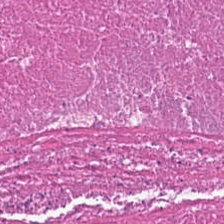Hematoxylin and eosin. 224×224 px tile — Classification = necrotic debris.
